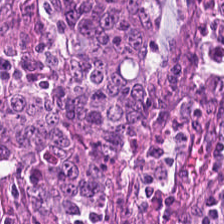Stain: hematoxylin and eosin.
Predominant tissue: adenocarcinoma.
